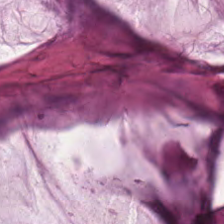Impression → mucin.
